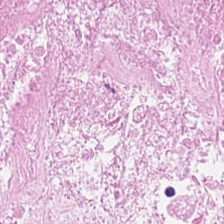H&E. This field is debris.
